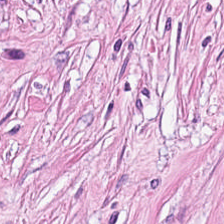Stain: hematoxylin and eosin.
Acquisition: brightfield microscopy.
Tissue class: cancer-associated stroma.
